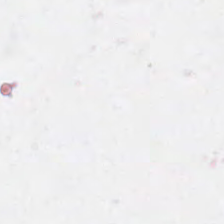Q: What is shown here?
A: No tissue.
